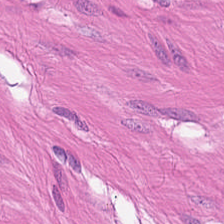Histology — muscularis.
